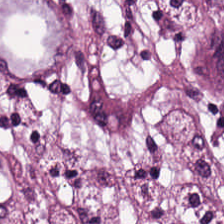Histology — tumor stroma.
